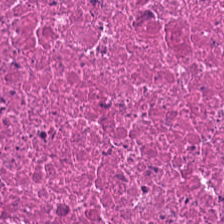Hematoxylin-and-eosin stained section.
Tissue type = cellular debris.
